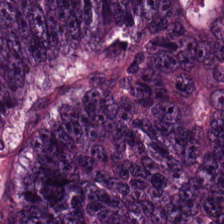Histology → tumor epithelium.
